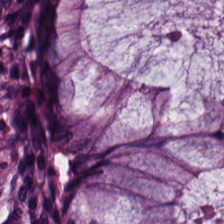Hematoxylin and eosin.
The tissue here is normal colonic mucosa.
